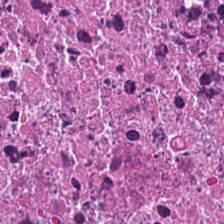20× equivalent magnification. H&E stain.
The tissue here is cellular debris.
